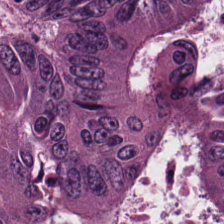Hematoxylin and eosin — The predominant tissue is malignant epithelium.
